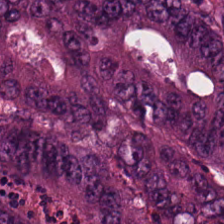Hematoxylin-and-eosin stained section — Histology → malignant epithelium.
